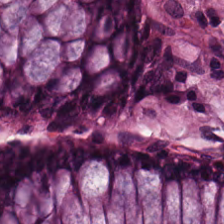Hematoxylin and eosin — Classification — normal colon mucosa.
